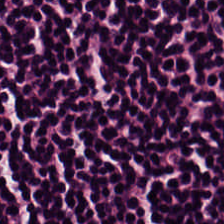Stain: H&E.
Predominant tissue: lymphocytes.
